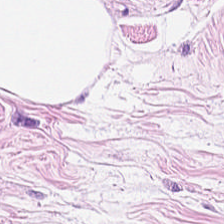Stain: hematoxylin and eosin.
Tissue class: adipocytes.
